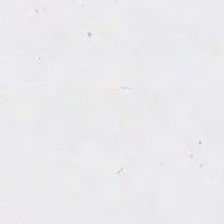Q: What is shown in this field?
A: Background (no tissue).
